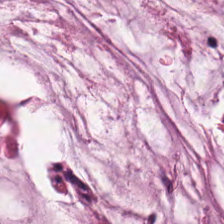Hematoxylin-and-eosin stained section.
{"tissue_type": "mucus"}
